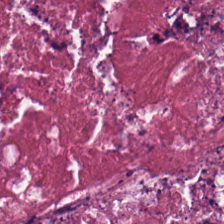0.5 microns per pixel; hematoxylin and eosin. Finding — necrotic debris.
